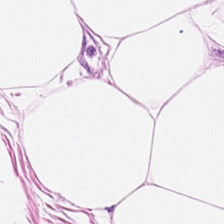This field is adipose tissue.
